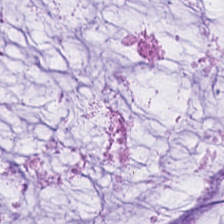This patch shows mucus.
